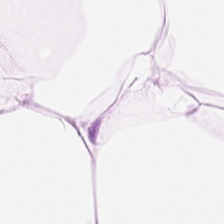0.5 µm per pixel. Hematoxylin and eosin. Whole-slide-image patch.
This field is adipose.
